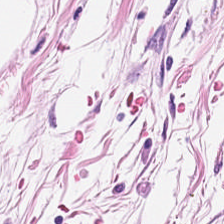H&E stain · 20× equivalent magnification. This patch shows adipose.
